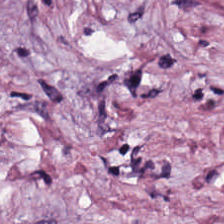H&E-stained tissue section. Tissue = tumor stroma.
